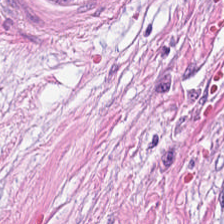Stain: H&E-stained tissue section.
Preparation: FFPE.
Predominant tissue: tumor stroma.
